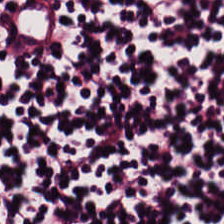Hematoxylin and eosin.
Tissue class: lymphocytes.
